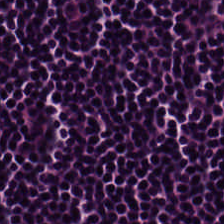Classification: lymphocytes.
